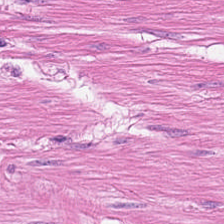H&E.
The classification is smooth-muscle tissue.
